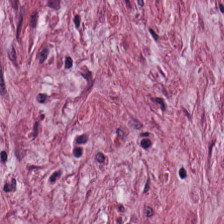This field is tumor stroma.
